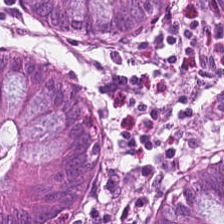Finding — normal colonic mucosa.
